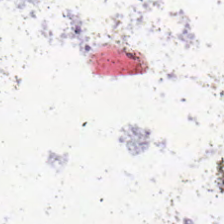H&E-stained tissue section — No tissue present; background only.
